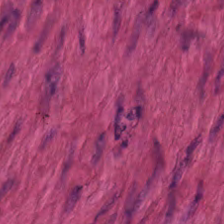H&E — Tissue type: muscularis.
